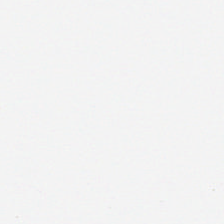WSI patch · H&E.
Background — no tissue in this field.
